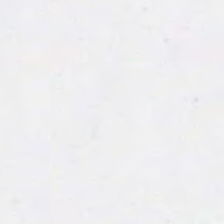H&E stain. Q: What does this patch show?
A: This is background.
